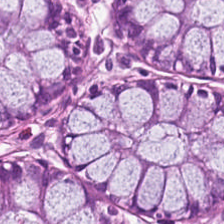Stain: H&E.
Tissue type: normal colonic mucosa.
